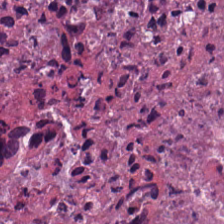Brightfield microscopy; hematoxylin and eosin; FFPE tissue section. Predominantly cellular debris.
